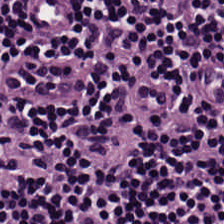20× equivalent magnification; H&E-stained tissue section — Finding → lymphoid infiltrate.
